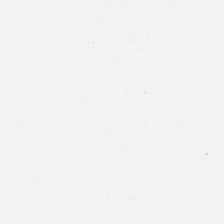Empty background.
